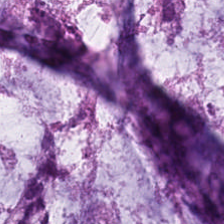The predominant tissue is extracellular mucin.
